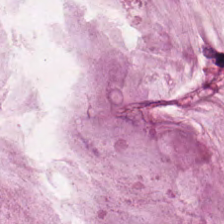H&E.
Finding — mucus.
